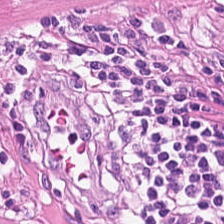H&E-stained tissue section. Q: What is shown here?
A: This is smooth-muscle tissue.
